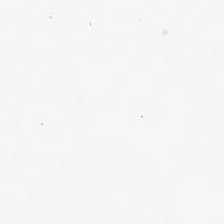Background — no tissue in this field.
